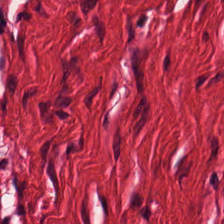H&E-stained tissue section.
Q: What is shown here?
A: Muscularis.
